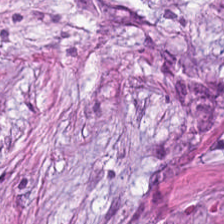Hematoxylin-and-eosin stained section. FFPE tissue section. Impression — tumor-associated stroma.
